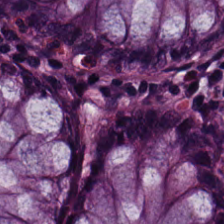Brightfield · hematoxylin-and-eosin stained section. Finding — normal colon mucosa.
